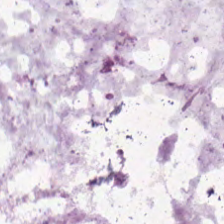H&E-stained tissue section · 0.5 µm per pixel. Mucus.
